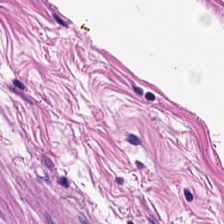H&E.
This field is smooth-muscle tissue.
